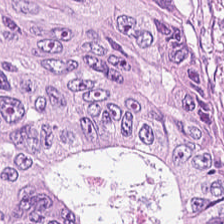H&E; 0.5 µm per pixel; FFPE tissue section.
The tissue type is tumor epithelium.
